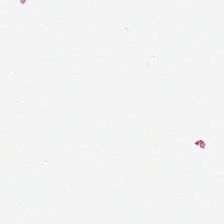FFPE tissue section; hematoxylin and eosin; 224×224 pixel tile. Q: What is shown here?
A: This is no tissue.
